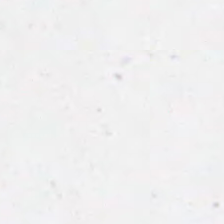Background (no tissue).
